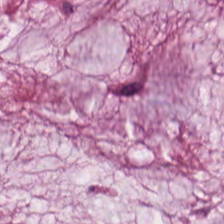Hematoxylin and eosin. Showing extracellular mucin.
